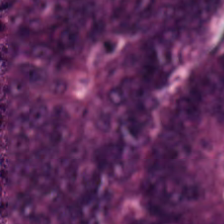H&E stain · FFPE. Q: What type of tissue is this?
A: The field shows colorectal adenocarcinoma epithelium.
